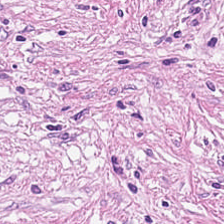Formalin-fixed paraffin-embedded section; H&E stain. Tissue type — tumor-associated stroma.
